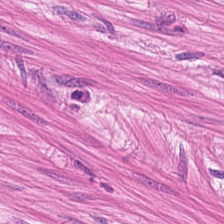0.5 microns per pixel. H&E stain. Brightfield. Tissue class: smooth muscle.
